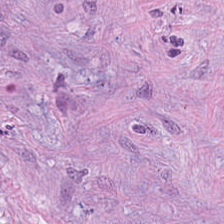0.5 µm per pixel · H&E · formalin-fixed paraffin-embedded section.
The tissue type is tumor-associated stroma.
